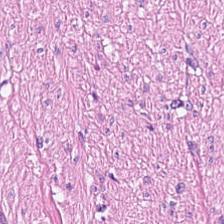Tissue class = muscularis.
